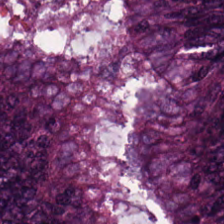H&E-stained tissue section — Classification: tumor epithelium.
